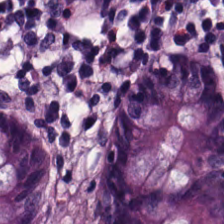H&E stain.
Showing normal colon mucosa.
